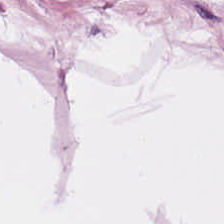H&E-stained tissue section. This field is adipocytes.
